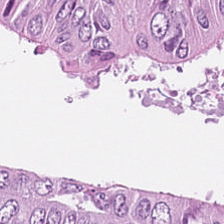Hematoxylin-and-eosin stained section.
Colorectal adenocarcinoma.
